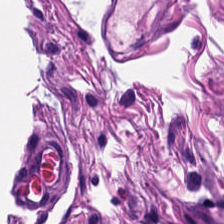Tissue class: muscularis.
